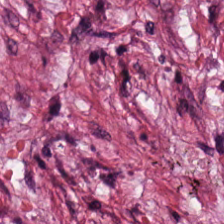FFPE; H&E; 224×224 px tile.
Tissue type: tumor stroma.
